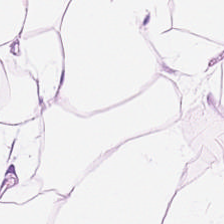224×224 pixel tile; H&E — This field is adipose tissue.
